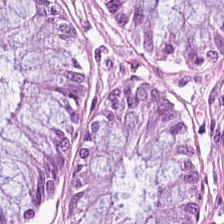H&E.
Tissue class: benign colonic mucosa.
